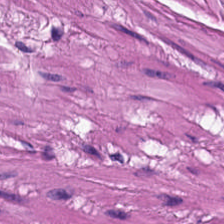Stain: H&E-stained tissue section.
Acquisition: brightfield.
Tissue: smooth muscle.
